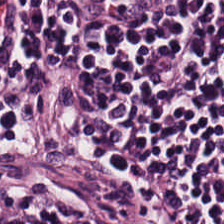Hematoxylin-and-eosin stained section — {"tissue_type": "lymphocytes"}
